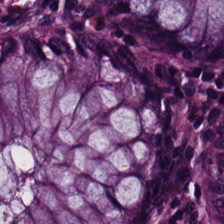Hematoxylin-and-eosin stained section · WSI patch · 224×224 px tile.
Tissue class = benign colonic mucosa.
